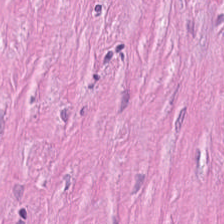Hematoxylin and eosin · formalin-fixed paraffin-embedded section. Finding — desmoplastic stroma.
